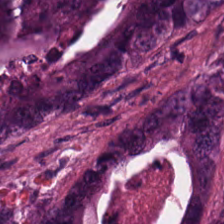H&E. Q: What type of tissue is this?
A: Colorectal adenocarcinoma.
